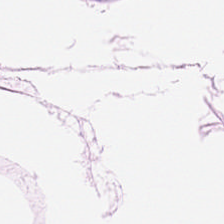H&E-stained tissue section. Q: What tissue is shown?
A: The field shows adipose.
